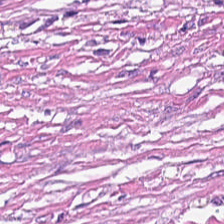This patch shows tumor stroma.
